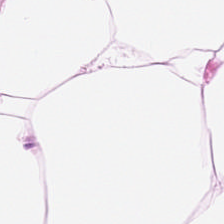H&E.
Tissue class = adipose tissue.
